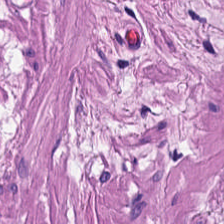Hematoxylin and eosin.
Histology — smooth-muscle tissue.
